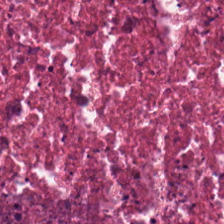H&E-stained tissue section.
This field is cellular debris.
